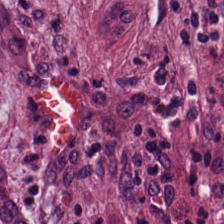Stain: H&E stain.
Classification: desmoplastic stroma.
